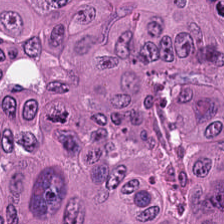H&E-stained tissue section — Showing malignant epithelium.
